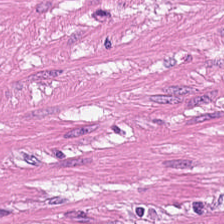H&E stain. Predominantly smooth-muscle tissue.
